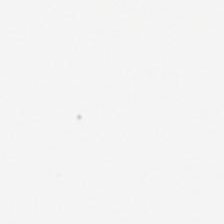Field content — empty background.
